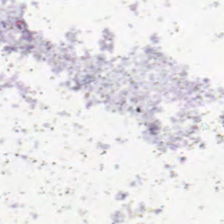H&E stain — Background — no tissue in this field.
